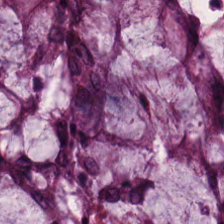The predominant tissue is benign colonic mucosa.
